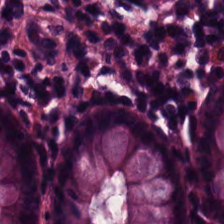Hematoxylin and eosin — This field is normal colonic mucosa.
